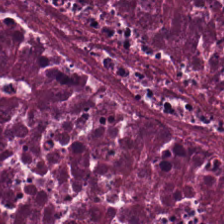H&E · WSI patch · 224×224 pixel tile.
The tissue here is cellular debris.
